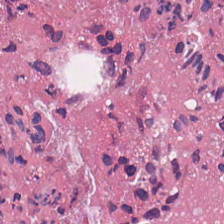Hematoxylin and eosin.
Q: What tissue is shown?
A: It is necrotic debris.
